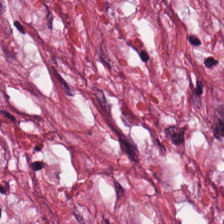Hematoxylin-and-eosin stained section — The tissue here is tumor-associated stroma.
